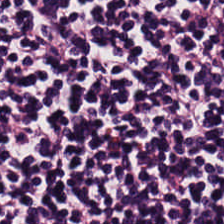Tissue class — lymphocytes.
